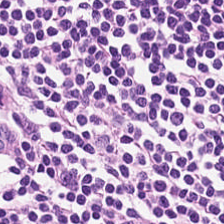FFPE tissue section. H&E stain.
Tissue = lymphoid infiltrate.
